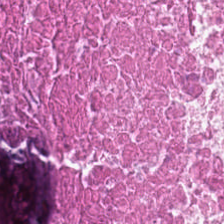0.5 µm per pixel; H&E-stained tissue section; 224×224 px patch.
The tissue here is cellular debris.
